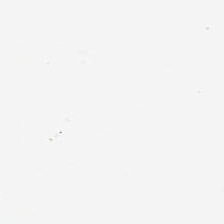Q: What is shown here?
A: This is empty background.
